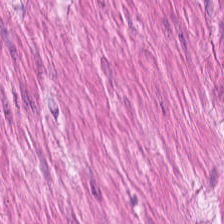H&E-stained tissue section · 224×224 px tile.
{"tissue_type": "smooth-muscle tissue"}
